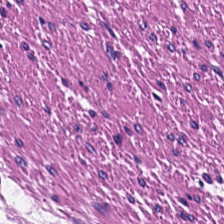Stain: H&E stain.
Tile size: 224×224 pixel tile.
Tissue class: muscularis.
